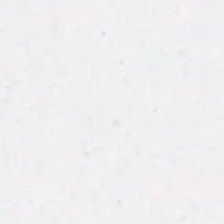Hematoxylin and eosin. Formalin-fixed paraffin-embedded section. This field is background (no tissue).
